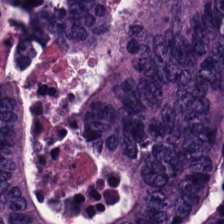Hematoxylin-and-eosin stained section · brightfield microscopy.
Q: Classify this patch.
A: Colorectal adenocarcinoma epithelium.
